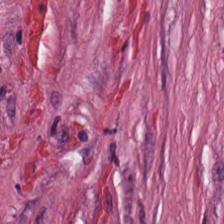Hematoxylin-and-eosin stained section — Q: What is the predominant tissue type?
A: The field shows desmoplastic stroma.
